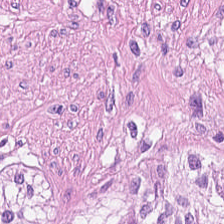Hematoxylin-and-eosin stained section. Tissue = smooth-muscle tissue.
